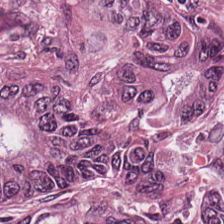FFPE; 0.5 µm/px; H&E stain.
Tissue — colorectal adenocarcinoma.
